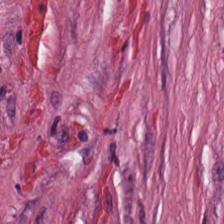Hematoxylin-and-eosin stained section · 224×224 pixel tile · brightfield.
This patch shows tumor stroma.
